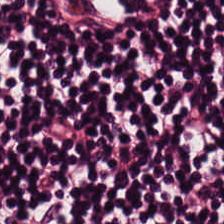WSI patch · H&E stain.
Tissue type = lymphocyte aggregate.
